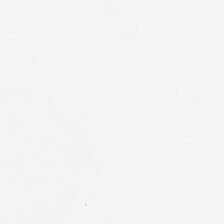Hematoxylin-and-eosin stained section. This patch shows no tissue.
